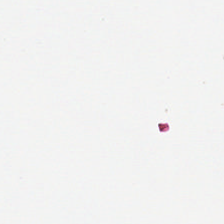This field is background (no tissue).
